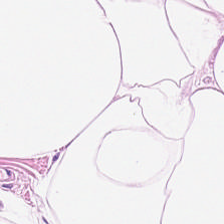H&E.
Q: What is the predominant tissue type?
A: It is adipose tissue.
